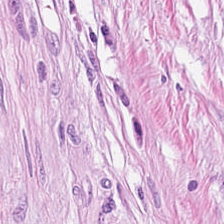H&E — tumor stroma.
